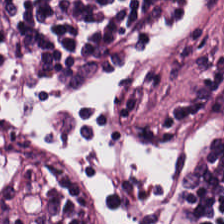Stain: hematoxylin and eosin.
Resolution: 20× equivalent magnification.
Acquisition: brightfield.
Tissue class: lymphocytic infiltrate.
